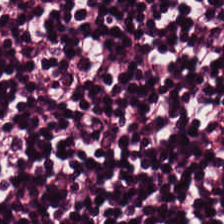Finding — lymphocytic infiltrate.
